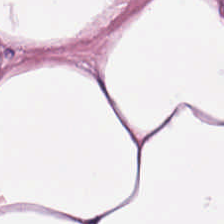H&E-stained section; the field shows fat tissue.
